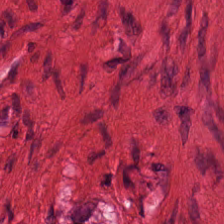H&E. Muscularis.
